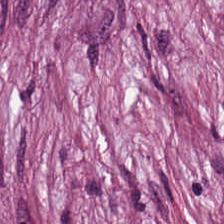Hematoxylin and eosin.
Tissue: tumor stroma.
